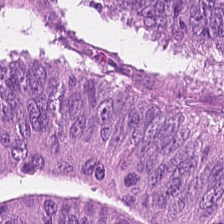Stain: hematoxylin and eosin.
Tissue: colorectal adenocarcinoma.
